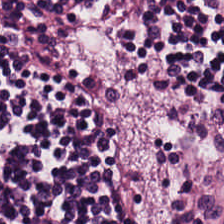H&E stain. FFPE tissue section. 0.5 µm per pixel. Tissue — lymphoid infiltrate.
